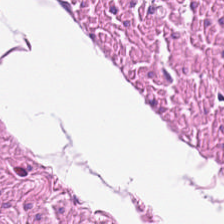H&E patch showing muscularis.
